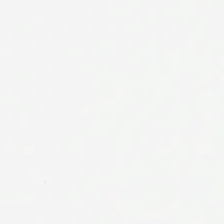0.5 microns per pixel; H&E-stained tissue section — No tissue present; background only.
